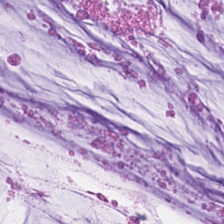H&E — extracellular mucin.
